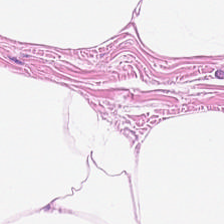H&E-stained tissue section.
Showing adipose tissue.
